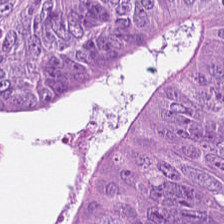H&E stain — Tissue: adenocarcinoma.
